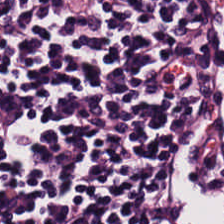Lymphoid infiltrate.
